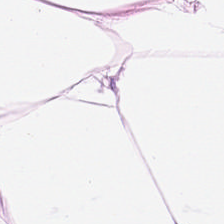0.5 µm per pixel. WSI patch. H&E-stained tissue section.
{"tissue_type": "adipose"}
